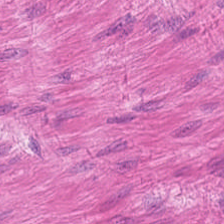Stain: hematoxylin-and-eosin stained section.
Tissue type: smooth-muscle tissue.
